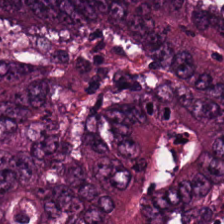Hematoxylin-and-eosin stained section · brightfield — Showing adenocarcinoma.
